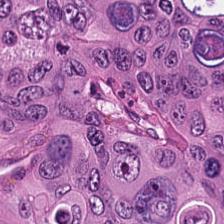Hematoxylin-and-eosin stained section — The classification is colorectal adenocarcinoma.
